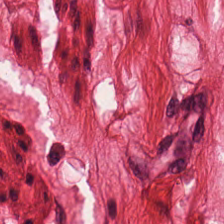Predominant tissue: smooth-muscle tissue.
